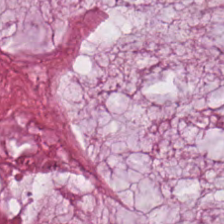Stain: hematoxylin-and-eosin stained section.
Predominant tissue: mucus.
